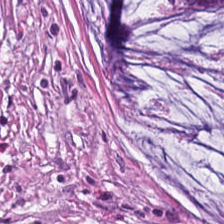Stain: H&E stain.
Tissue: mucin.
